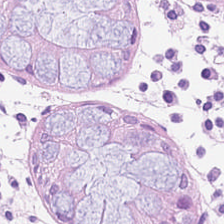Hematoxylin and eosin · brightfield · FFPE. Histology → benign colonic mucosa.
